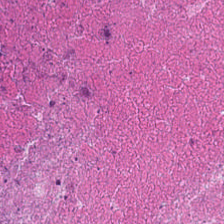Stain: H&E-stained tissue section.
Predominant tissue: necrotic debris.
